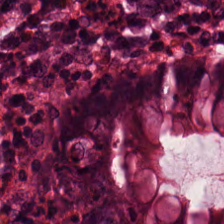H&E stain · 20× equivalent magnification — Tissue type — benign colonic mucosa.
